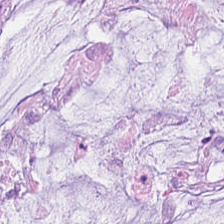H&E-stained section; the field shows mucus.
